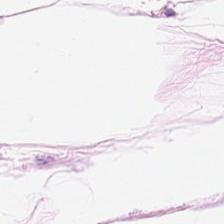Formalin-fixed paraffin-embedded section; H&E — Tissue type = adipose.
